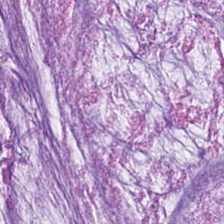H&E patch showing extracellular mucin.
